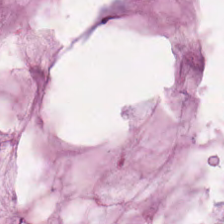H&E stain.
Finding → extracellular mucin.
